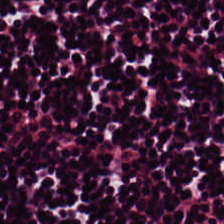H&E-stained section; the field shows lymphoid infiltrate.
